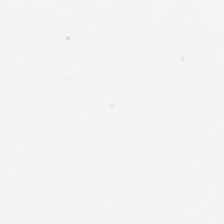Hematoxylin-and-eosin stained section — Background.
